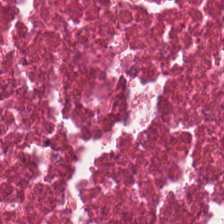FFPE · H&E-stained tissue section — The tissue is necrotic debris.
